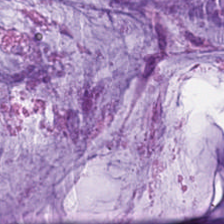H&E-stained tissue section. The predominant tissue is mucin.
